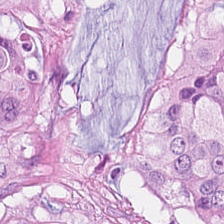The tissue is colorectal adenocarcinoma epithelium.
